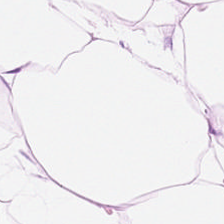Hematoxylin and eosin. 224×224 pixel tile. Whole-slide-image patch.
Classification: adipose tissue.
